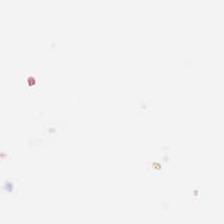H&E-stained tissue section — Background (no tissue).
